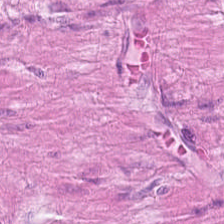H&E stain · 224×224 px tile · FFPE. Tissue — muscularis.
